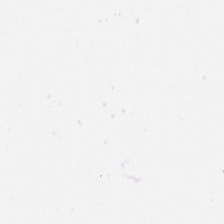Q: What is shown here?
A: Background.
